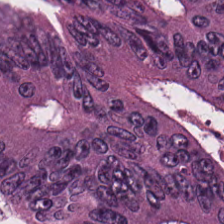H&E-stained tissue section; WSI patch; 20× equivalent magnification. Tissue — colorectal adenocarcinoma epithelium.
